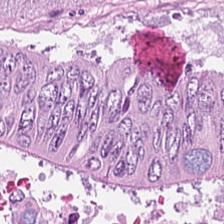Q: What is shown here?
A: The field shows malignant epithelium.
